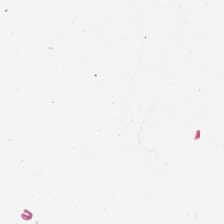This patch shows background (no tissue).
